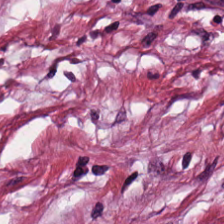H&E. Tissue class: tumor stroma.
